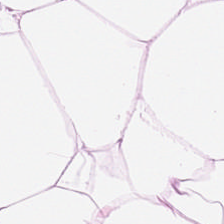0.5 microns per pixel. Hematoxylin and eosin. WSI patch.
Showing adipose tissue.
